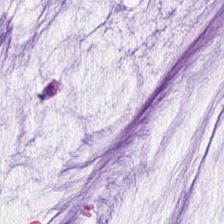Q: What is shown here?
A: Mucus.
